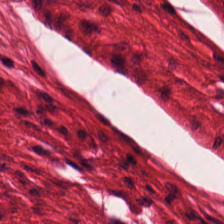H&E.
Q: Identify the tissue.
A: Smooth muscle.
